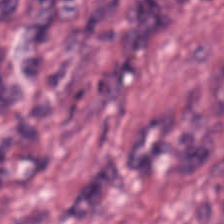Formalin-fixed paraffin-embedded section. Hematoxylin-and-eosin stained section.
Showing desmoplastic stroma.
